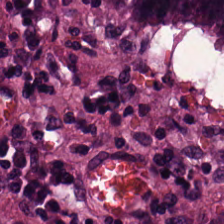H&E-stained tissue section.
The tissue class is colorectal adenocarcinoma.
